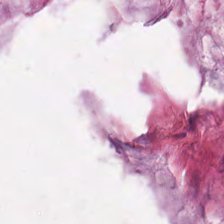Impression → extracellular mucin.
